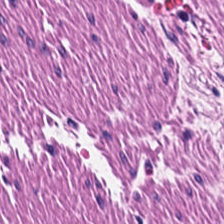Whole-slide-image patch. Hematoxylin-and-eosin stained section — Showing smooth-muscle tissue.
